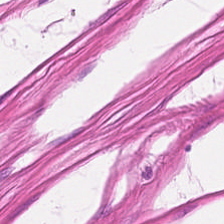Hematoxylin-and-eosin stained section. This field is muscularis.
